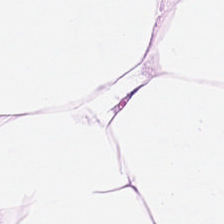Brightfield microscopy · hematoxylin-and-eosin stained section · 224×224 pixel tile.
Finding — adipose tissue.
